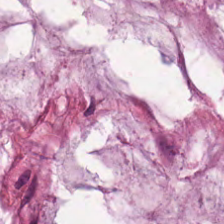224×224 px patch; H&E — Impression — mucus.
